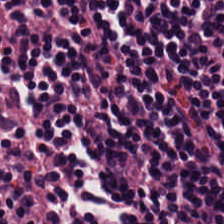224×224 pixel tile · hematoxylin-and-eosin stained section. Q: What is the predominant tissue type?
A: This is lymphocytic infiltrate.
